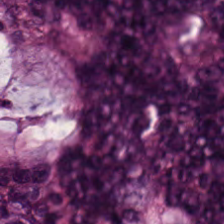Hematoxylin-and-eosin stained section — Tissue class = tumor epithelium.
